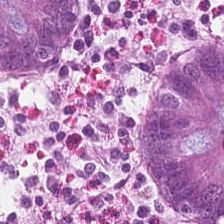H&E · whole-slide-image patch — This field is benign colonic mucosa.
